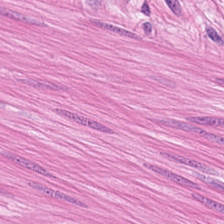H&E stain. The classification is smooth muscle.
